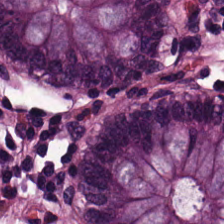Finding — non-neoplastic colon mucosa.
